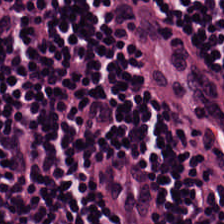FFPE tissue section. H&E stain — Tissue class = lymphoid infiltrate.
